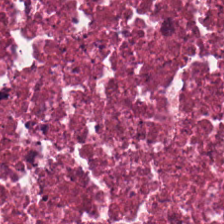Hematoxylin-and-eosin stained section — {"tissue_type": "debris"}
